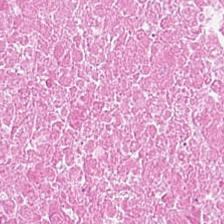Hematoxylin and eosin.
This field is necrotic debris.
